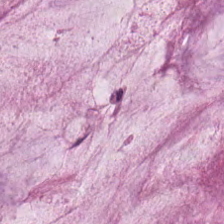H&E stain · FFPE — Showing mucin.
